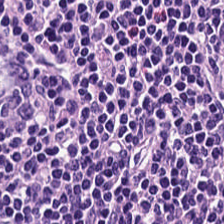Q: What tissue is shown?
A: The field shows lymphocyte aggregate.
